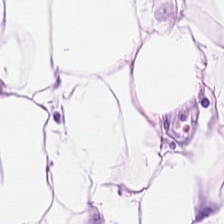Hematoxylin-and-eosin stained section. FFPE. 224×224 px patch. Finding — adipocytes.
